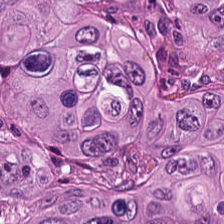Hematoxylin-and-eosin stained section — {"tissue_type": "tumor epithelium"}
